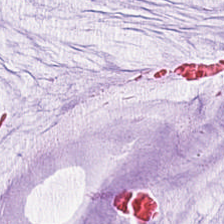H&E stain; 224×224 px tile; FFPE. The predominant tissue is mucus.
